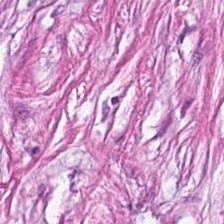Hematoxylin-and-eosin stained section.
Classification — cancer-associated stroma.
